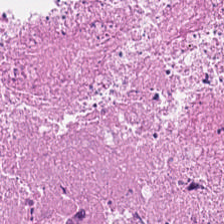Stain: H&E stain.
Tissue class: debris.
